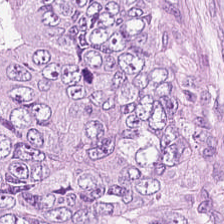H&E stain. 224×224 px patch. The tissue here is colorectal adenocarcinoma.
